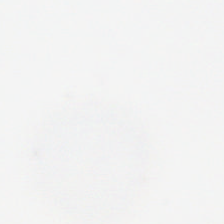Hematoxylin-and-eosin stained section — Q: What does this patch show?
A: Empty background.
